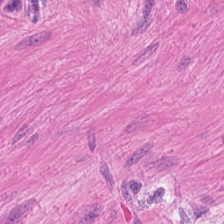Hematoxylin-and-eosin stained section. Q: What is shown in this field?
A: The field shows smooth-muscle tissue.
